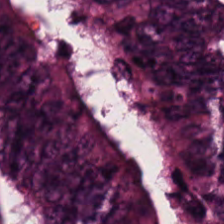224×224 pixel tile; H&E-stained tissue section — Predominant tissue: malignant epithelium.
